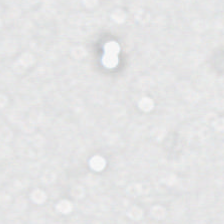Stain: H&E-stained tissue section.
Field content: background (no tissue).
